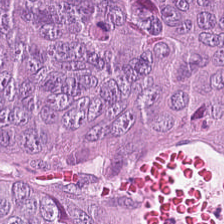H&E-stained tissue section. 224×224 px patch — Tissue type — colorectal adenocarcinoma epithelium.
